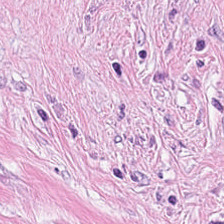Hematoxylin-and-eosin stained section. Formalin-fixed paraffin-embedded section — Classification: cancer-associated stroma.
